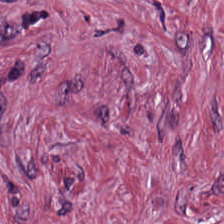H&E stain — Q: What is the predominant tissue type?
A: It is desmoplastic stroma.
